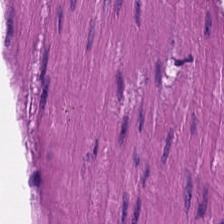H&E — Tissue = muscularis.
